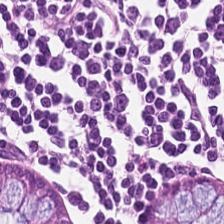Q: Classify this patch.
A: Non-neoplastic colon mucosa.
